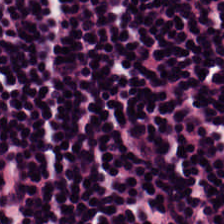Hematoxylin-and-eosin stained section. {"tissue_type": "lymphocytes"}
